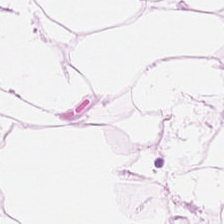Whole-slide-image patch. H&E-stained tissue section. 224×224 pixel tile. Adipocytes.
